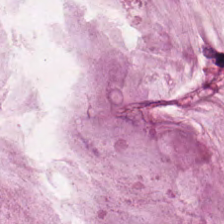Stain: H&E stain.
Predominant tissue: mucus.
